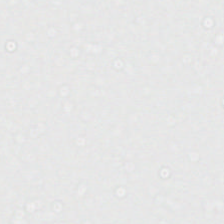H&E-stained tissue section. No tissue present; background only.
